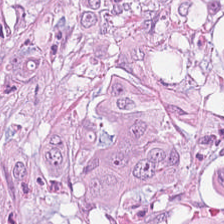H&E stain. 20× equivalent magnification.
Predominant tissue = adenocarcinoma.
